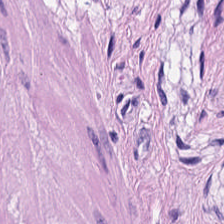Q: Identify the tissue.
A: Smooth muscle.
